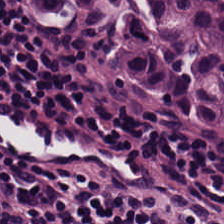Formalin-fixed paraffin-embedded section. Hematoxylin and eosin — This patch shows lymphoid infiltrate.
